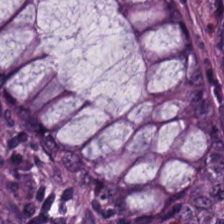Predominant tissue — non-neoplastic colon mucosa.
